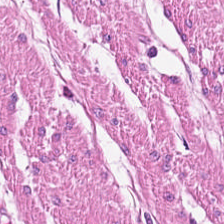224×224 px patch. Hematoxylin and eosin — Predominantly smooth-muscle tissue.
